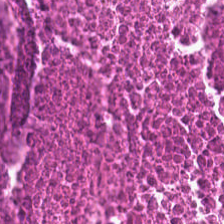FFPE · H&E.
{"tissue_type": "cellular debris"}
